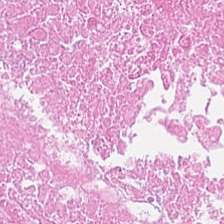20× equivalent magnification · H&E-stained tissue section.
Showing necrotic debris.
